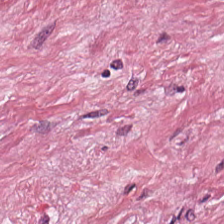0.5 µm/px; H&E-stained tissue section.
The tissue here is tumor-associated stroma.
